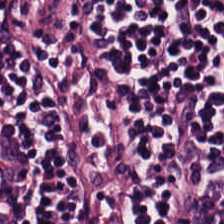H&E — lymphocyte aggregate.
